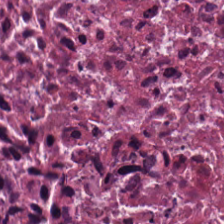H&E-stained tissue section — Q: What type of tissue is this?
A: The field shows cellular debris.
